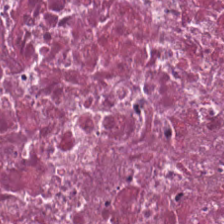Stain: hematoxylin and eosin.
Tissue type: cellular debris.
